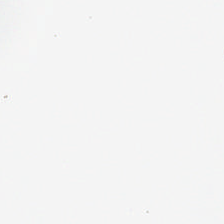H&E.
No tissue present; background only.
